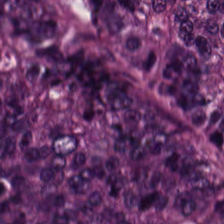Formalin-fixed paraffin-embedded section · hematoxylin and eosin — {"tissue_type": "colorectal adenocarcinoma"}
